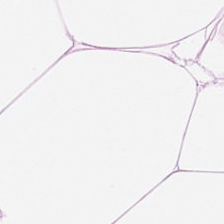Hematoxylin-and-eosin stained section.
Tissue class — adipocytes.
